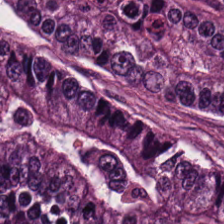0.5 microns per pixel · hematoxylin-and-eosin stained section.
Predominantly malignant epithelium.
